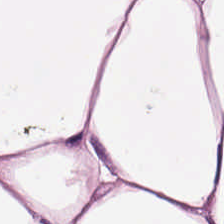Formalin-fixed paraffin-embedded section; H&E. Q: What does this patch show?
A: The field shows adipocytes.
